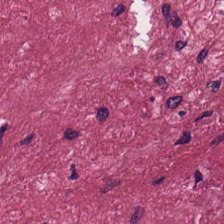H&E-stained tissue section; whole-slide-image patch.
Tissue = tumor-associated stroma.
